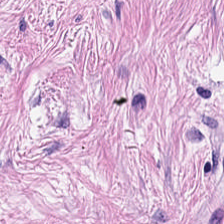0.5 microns per pixel. H&E-stained tissue section. The tissue type is tumor-associated stroma.
